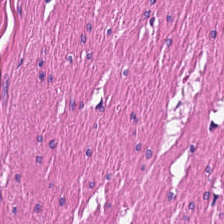This field is smooth-muscle tissue.
